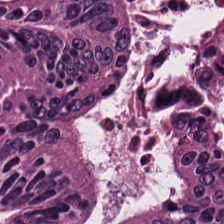Tissue class = malignant epithelium.
